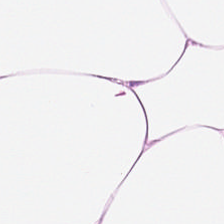H&E stain. Q: What is the predominant tissue type?
A: The field shows fat tissue.
